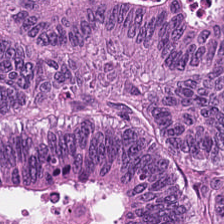Hematoxylin-and-eosin stained section; whole-slide-image patch — The tissue is malignant epithelium.
